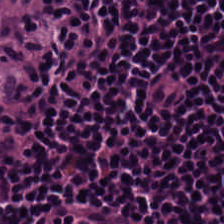H&E — This patch shows lymphocyte aggregate.
